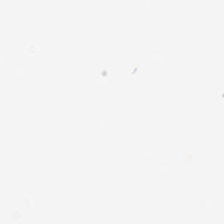0.5 µm per pixel; hematoxylin-and-eosin stained section.
Classification = background (no tissue).
